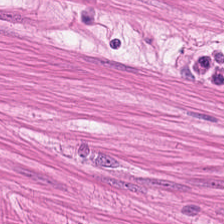The tissue is smooth muscle.
